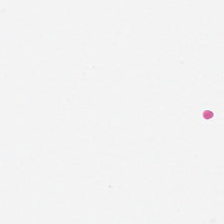Hematoxylin and eosin.
{"content": "no tissue"}
